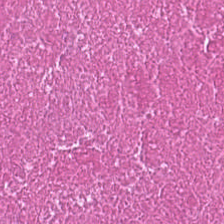Hematoxylin and eosin.
{"tissue_type": "cellular debris"}
